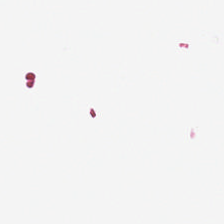Brightfield microscopy. H&E stain. 0.5 µm per pixel — No tissue.
